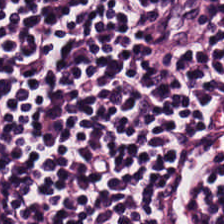H&E-stained tissue section — Predominantly lymphoid infiltrate.
